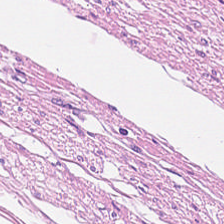Stain: hematoxylin and eosin.
Tile size: 224×224 px tile.
Tissue class: muscularis.
